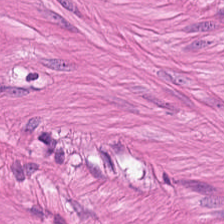Brightfield microscopy; H&E stain. Q: Classify this patch.
A: The field shows muscularis.
